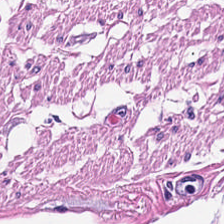Hematoxylin-and-eosin stained section · whole-slide-image patch — This field is smooth-muscle tissue.
